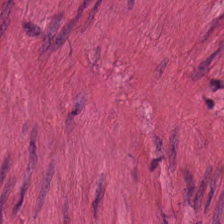Hematoxylin-and-eosin stained section · 224×224 px patch — The tissue here is smooth muscle.
